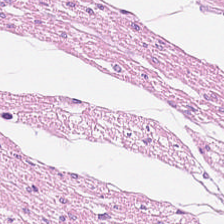FFPE tissue section; hematoxylin-and-eosin stained section — The tissue type is smooth muscle.
